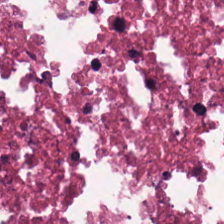Tissue class — cellular debris.
